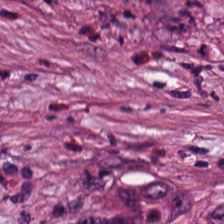Hematoxylin and eosin.
{"tissue_type": "tumor stroma"}
